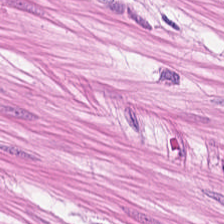H&E patch showing smooth-muscle tissue.
